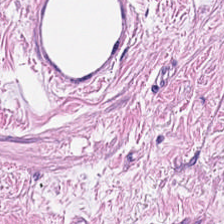Q: What is shown here?
A: This is smooth-muscle tissue.
